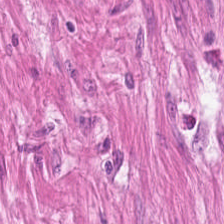224×224 pixel tile · H&E-stained tissue section — {"tissue_type": "muscularis"}
